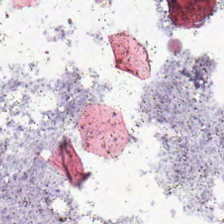Q: Classify this patch.
A: It is no tissue.
